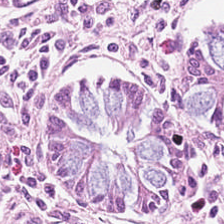Stain: H&E stain.
Tile size: 224×224 px patch.
Tissue class: normal colonic mucosa.
